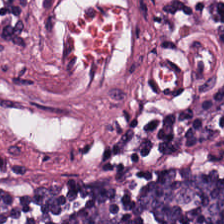H&E.
This field is lymphocytic infiltrate.
